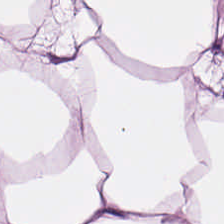Stain: hematoxylin and eosin.
Predominant tissue: fat tissue.
